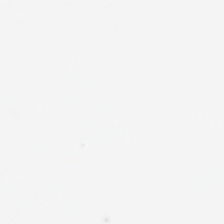Finding — no tissue.
